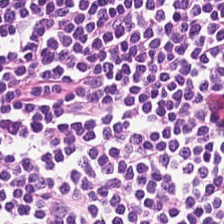H&E. Tissue type = lymphoid infiltrate.
